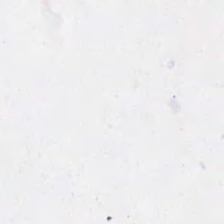No tissue present; background only.
